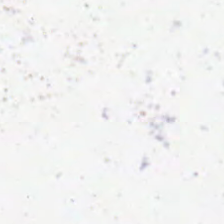WSI patch · hematoxylin and eosin.
Q: What is shown in this field?
A: The field shows empty background.
